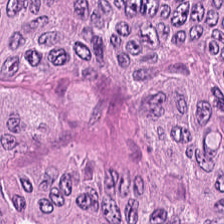The predominant tissue is colorectal adenocarcinoma epithelium.
